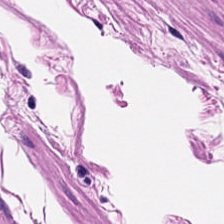The tissue type is muscularis.
